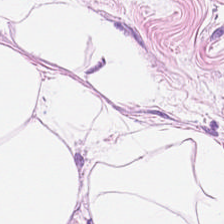H&E — Q: What tissue type is shown here?
A: It is adipose.
